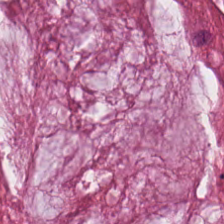H&E. Classification: mucus.
